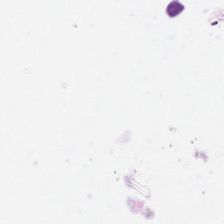0.5 µm/px · hematoxylin and eosin — Empty field — background.
